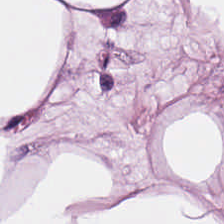Whole-slide-image patch. H&E stain. 224×224 px patch. Predominant tissue: adipose tissue.
